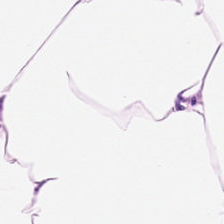Histology — adipocytes.
